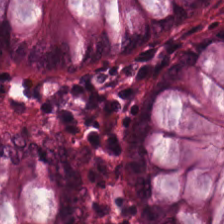224×224 px tile. H&E stain. Brightfield microscopy. {"tissue_type": "normal colonic mucosa"}
